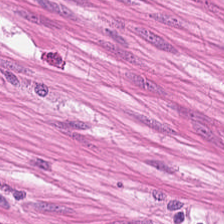FFPE. H&E.
The tissue class is smooth muscle.
